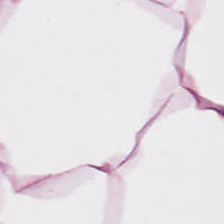Q: What is shown here?
A: It is adipose.
